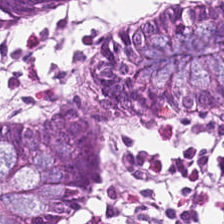Hematoxylin-and-eosin stained section — Tissue class = normal colonic mucosa.
